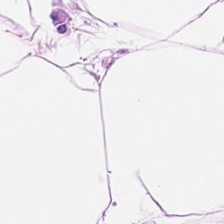H&E-stained tissue section — Predominantly adipocytes.
